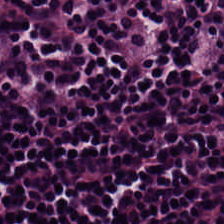H&E stain.
The classification is lymphocyte aggregate.
